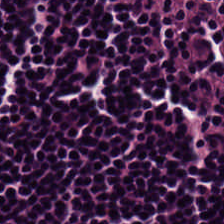Hematoxylin-and-eosin stained section · FFPE. Classification — lymphocytes.
